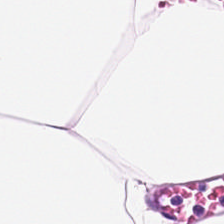Hematoxylin and eosin · brightfield.
{"tissue_type": "adipose tissue"}
